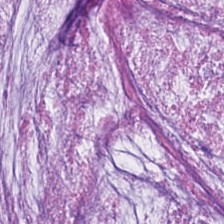Hematoxylin and eosin.
Tissue class = extracellular mucin.
